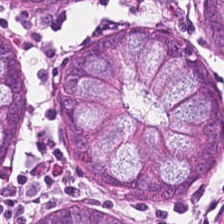Stain: hematoxylin and eosin.
Preparation: FFPE.
Classification: non-neoplastic colon mucosa.
